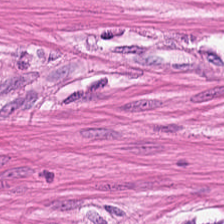H&E.
Q: What is shown in this field?
A: Muscularis.
